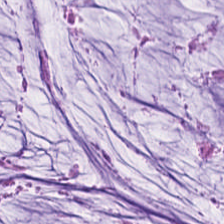H&E stain. Predominant tissue — mucin.
